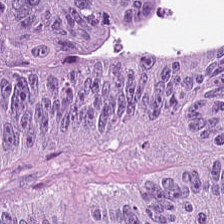Stain: H&E stain.
Tissue type: colorectal adenocarcinoma epithelium.
